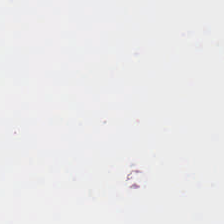Hematoxylin and eosin. {"content": "empty background"}
